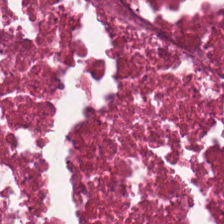FFPE tissue section · H&E-stained tissue section — Predominantly cellular debris.
